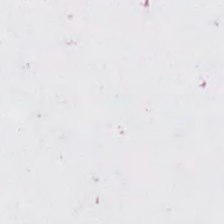Hematoxylin and eosin; 20× equivalent magnification; formalin-fixed paraffin-embedded section — Q: Classify this patch.
A: Background.
